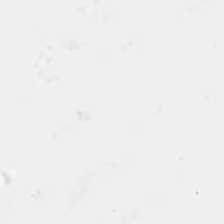FFPE. Brightfield microscopy. H&E stain — Q: What is shown here?
A: Background.
